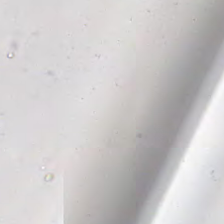Hematoxylin and eosin; 224×224 px patch. The content is background.
